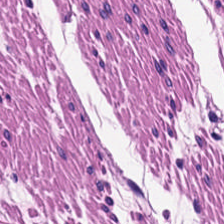H&E-stained tissue section. Q: What does this patch show?
A: The field shows smooth muscle.
